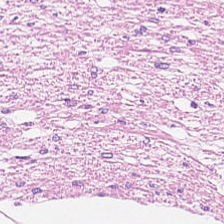Hematoxylin and eosin. Predominantly smooth-muscle tissue.
